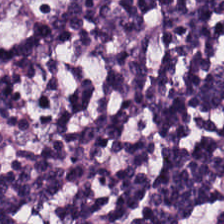Hematoxylin-and-eosin stained section — The tissue type is lymphoid infiltrate.
